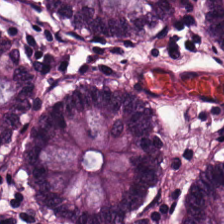Stain: H&E.
Tissue type: non-neoplastic colon mucosa.
